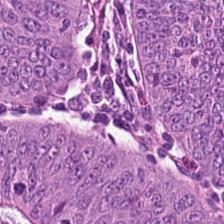H&E. This patch shows colorectal adenocarcinoma epithelium.
